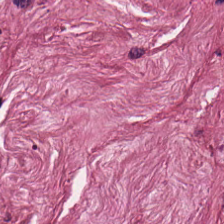H&E — tumor stroma.
